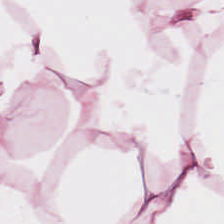H&E; FFPE tissue section. {"tissue_type": "adipocytes"}
